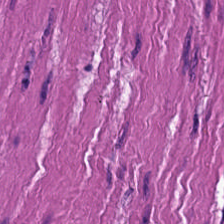Hematoxylin-and-eosin stained section.
Tissue type = muscularis.
